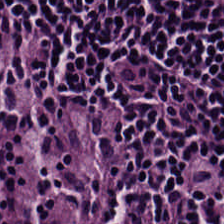Hematoxylin and eosin — Histology — lymphocytes.
